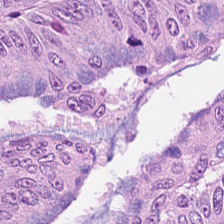Hematoxylin and eosin; brightfield microscopy; 224×224 px tile.
This field is colorectal adenocarcinoma.
